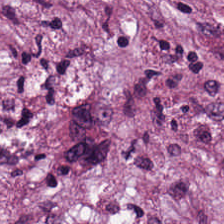Showing tumor stroma.
